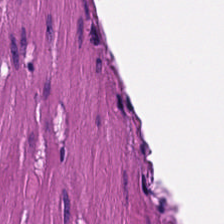H&E stain; FFPE tissue section. Finding — smooth muscle.
